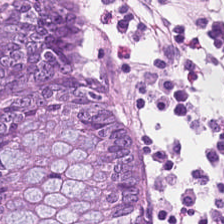Hematoxylin-and-eosin stained section — The tissue class is non-neoplastic colon mucosa.
